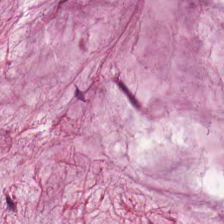H&E-stained tissue section; whole-slide-image patch — Q: What tissue type is shown here?
A: The field shows extracellular mucin.
